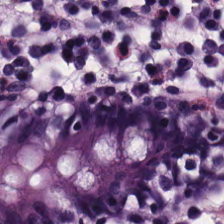Predominant tissue = normal colon mucosa.
